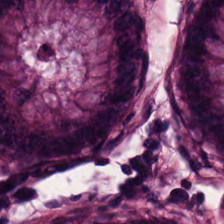H&E-stained tissue section — Q: What does this patch show?
A: It is benign colonic mucosa.
